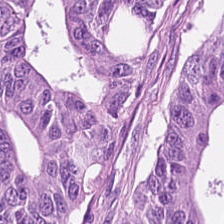Stain: H&E stain.
Tissue: tumor epithelium.
